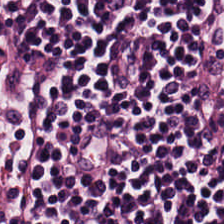Q: What type of tissue is this?
A: The field shows lymphocytes.
